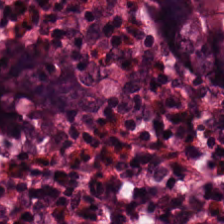Brightfield microscopy; H&E — Showing normal colonic mucosa.
